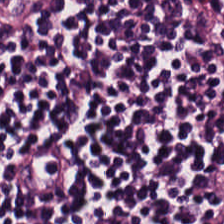FFPE. H&E stain.
Predominantly lymphocytes.
